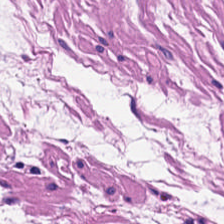H&E stain.
Predominantly smooth-muscle tissue.
